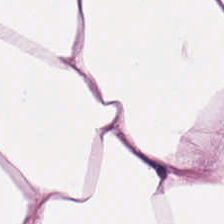Tissue class = adipocytes.
